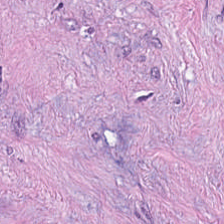Formalin-fixed paraffin-embedded section; H&E stain — The tissue type is tumor-associated stroma.
